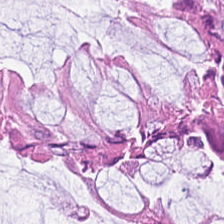H&E · 0.5 µm per pixel · FFPE — This field is normal colonic mucosa.
